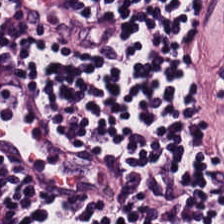224×224 pixel tile; formalin-fixed paraffin-embedded section; H&E — Predominantly lymphocyte aggregate.
